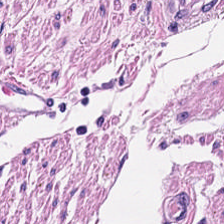H&E stain · FFPE tissue section.
Q: What is shown here?
A: Smooth-muscle tissue.
